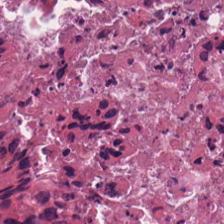H&E-stained tissue section showing cellular debris.
